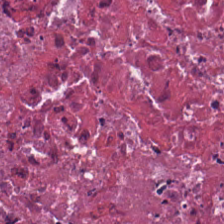{"tissue_type": "necrotic debris"}
